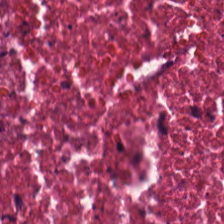224×224 px patch; hematoxylin-and-eosin stained section.
Showing necrotic debris.
